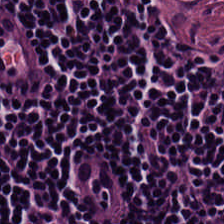H&E stain — Finding — lymphocyte aggregate.
